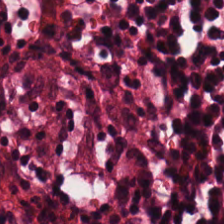Stain: hematoxylin and eosin.
Tissue type: normal colonic mucosa.
